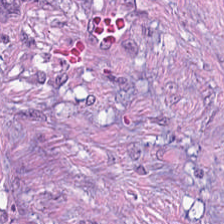FFPE tissue section; hematoxylin and eosin — This patch shows tumor-associated stroma.
